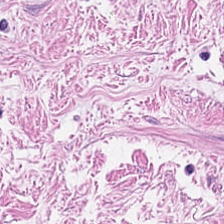Stain: H&E.
Tissue class: muscularis.
